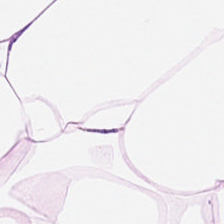Tissue = adipose tissue.
